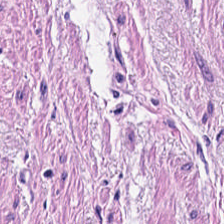This field is smooth muscle.
